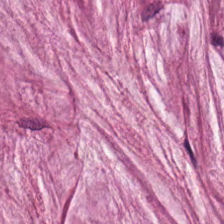The predominant tissue is mucus.
